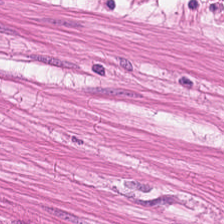Stain: hematoxylin-and-eosin stained section.
Tissue class: muscularis.
